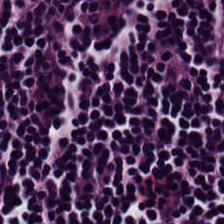H&E stain · brightfield microscopy · 224×224 px patch. Finding — lymphocyte aggregate.
